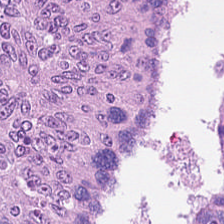FFPE; 0.5 µm/px; H&E.
Classification: malignant epithelium.
